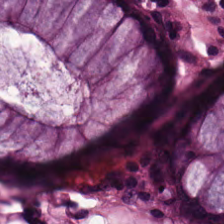0.5 microns per pixel · H&E stain · brightfield microscopy — Impression → normal colonic mucosa.
